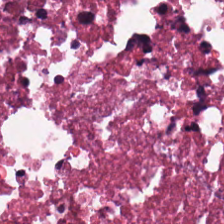H&E. Formalin-fixed paraffin-embedded section. Predominantly necrotic debris.
